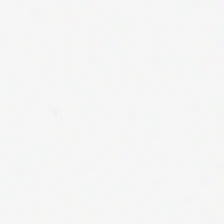Hematoxylin-and-eosin stained section — Q: What is shown here?
A: This is background (no tissue).
